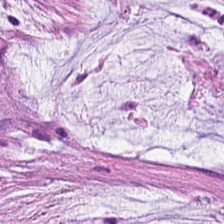WSI patch · hematoxylin-and-eosin stained section · FFPE.
Predominantly extracellular mucin.
